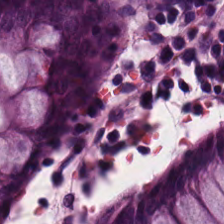H&E. Q: Identify the tissue.
A: This is normal colonic mucosa.
